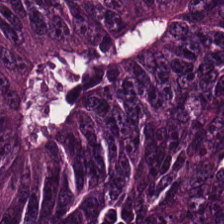Brightfield. H&E stain. Finding — tumor epithelium.
